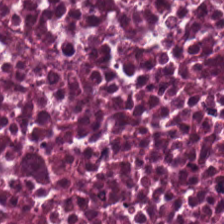H&E stain — The predominant tissue is debris.
